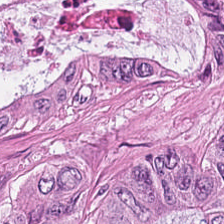This field is adenocarcinoma.
